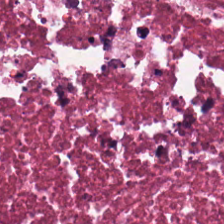Hematoxylin and eosin.
The predominant tissue is cellular debris.
